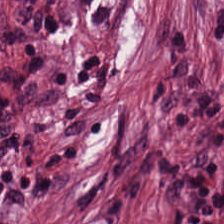H&E-stained tissue section · 224×224 px tile.
Showing cancer-associated stroma.
